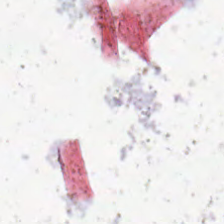Formalin-fixed paraffin-embedded section; hematoxylin and eosin; whole-slide-image patch.
Field content — background.
